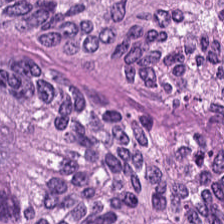The predominant tissue is malignant epithelium.
